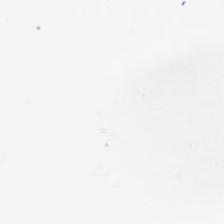H&E. 224×224 px patch. 0.5 microns per pixel. Impression → empty background.
